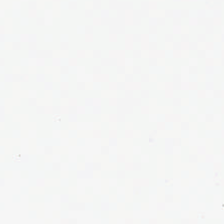Hematoxylin-and-eosin stained section. 0.5 µm/px — Content: empty background.
